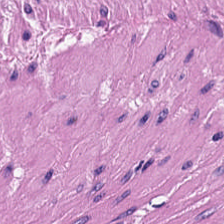H&E. WSI patch. Formalin-fixed paraffin-embedded section. Q: What is shown here?
A: It is smooth-muscle tissue.
